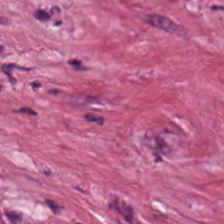WSI patch · H&E stain. This patch shows desmoplastic stroma.
